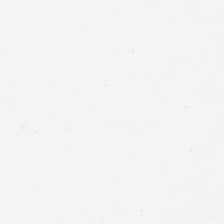224×224 px patch · hematoxylin and eosin. {"content": "no tissue"}
